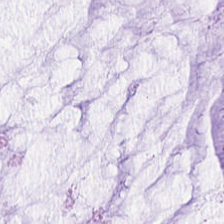H&E · FFPE tissue section — Mucus.
